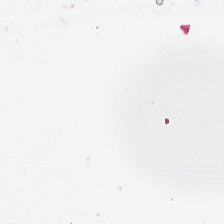The classification is background.
